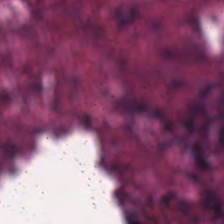Hematoxylin and eosin · formalin-fixed paraffin-embedded section. The tissue here is debris.
